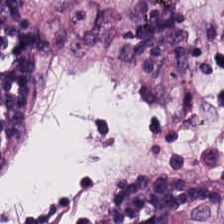H&E-stained tissue section.
The tissue type is lymphocytic infiltrate.
